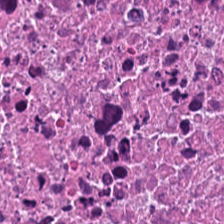Tissue: necrotic debris.
